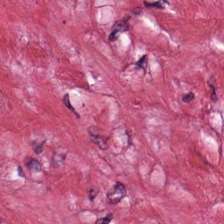H&E-stained tissue section. Predominantly desmoplastic stroma.
